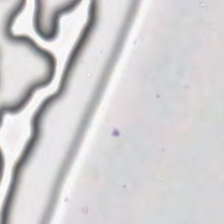Brightfield; H&E stain. No tissue present; background only.
